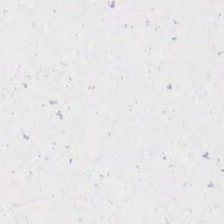H&E stain.
Q: What is shown here?
A: No tissue.
